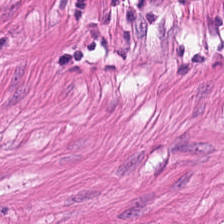FFPE · H&E stain.
Impression → smooth-muscle tissue.
